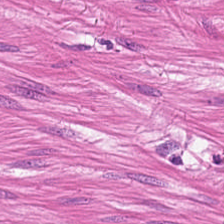224×224 px patch; FFPE; hematoxylin-and-eosin stained section — Q: Identify the tissue.
A: The field shows smooth-muscle tissue.
